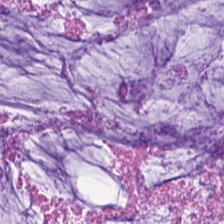Hematoxylin-and-eosin stained section.
The tissue here is mucin.
